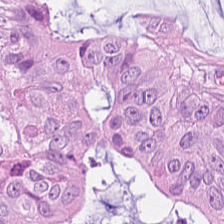H&E stain.
Tissue = colorectal adenocarcinoma epithelium.
